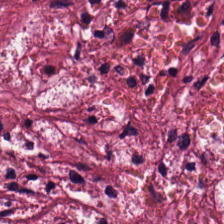H&E-stained tissue section · brightfield. Classification = tumor stroma.
